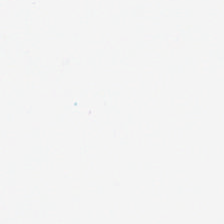Hematoxylin-and-eosin stained section — Content: no tissue.
